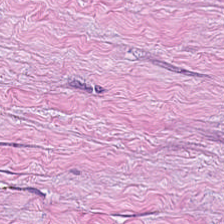0.5 microns per pixel · hematoxylin and eosin.
The predominant tissue is desmoplastic stroma.
